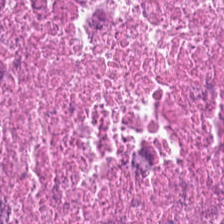Tissue type — debris.
